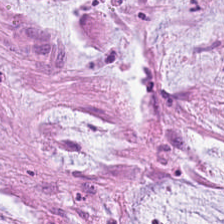Stain: H&E stain.
Tissue class: mucin.
